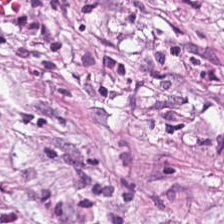H&E-stained tissue section. Q: Classify this patch.
A: It is tumor-associated stroma.
